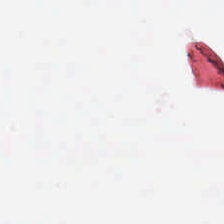Background — no tissue in this field.
